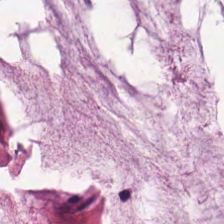224×224 pixel tile. H&E stain. Q: What is the predominant tissue type?
A: It is extracellular mucin.
